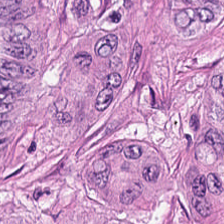0.5 µm/px; H&E stain. The tissue type is adenocarcinoma.
